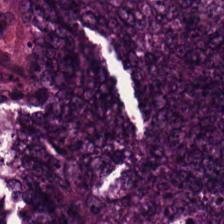WSI patch · H&E · FFPE tissue section. Predominantly tumor epithelium.
